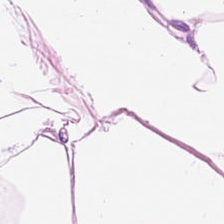H&E stain.
{"tissue_type": "adipocytes"}
